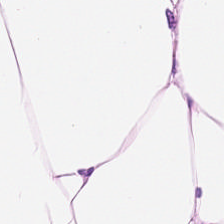Brightfield microscopy. Hematoxylin and eosin — Q: Classify this patch.
A: The field shows adipocytes.
